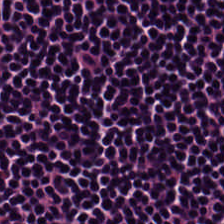Tissue class — lymphoid infiltrate.
